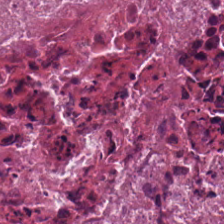Q: What is shown in this field?
A: Debris.
